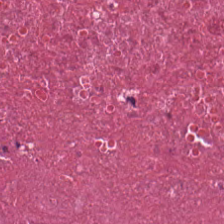Stain: hematoxylin-and-eosin stained section.
Tissue type: necrotic debris.
